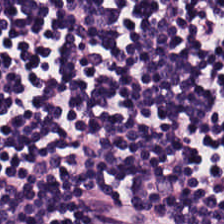H&E. Predominantly lymphoid infiltrate.
